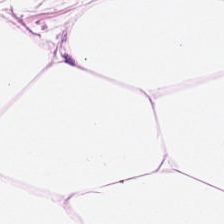FFPE · hematoxylin and eosin.
Q: What tissue type is shown here?
A: It is adipose tissue.
